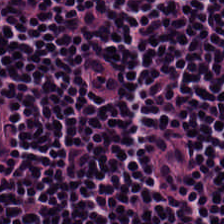H&E. Q: What is the predominant tissue type?
A: Lymphoid infiltrate.
